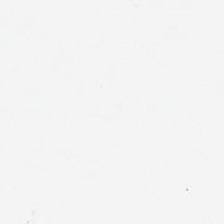Hematoxylin and eosin. No tissue.
